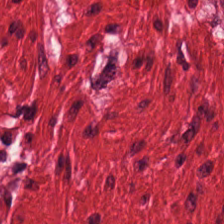Stain: hematoxylin and eosin.
Predominant tissue: smooth-muscle tissue.
